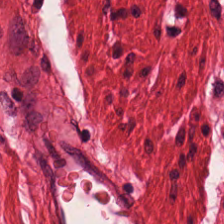Hematoxylin-and-eosin stained section. 20× equivalent magnification.
Histology → muscularis.
